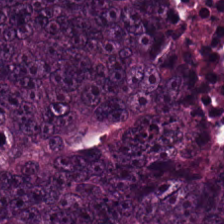Hematoxylin-and-eosin stained section.
Predominantly tumor epithelium.
